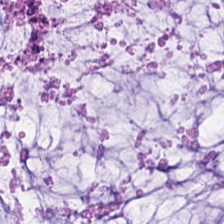Stain: H&E-stained tissue section.
Predominant tissue: mucin.
